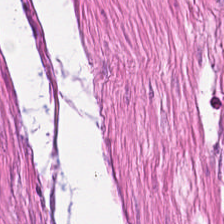Hematoxylin and eosin — This field is smooth-muscle tissue.
